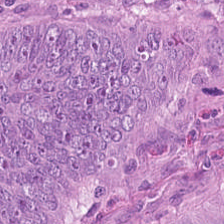Q: Classify this patch.
A: This is colorectal adenocarcinoma.
